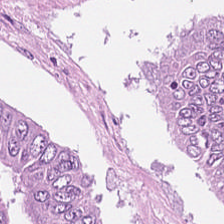Hematoxylin-and-eosin stained section — Q: What is shown here?
A: The field shows tumor epithelium.
